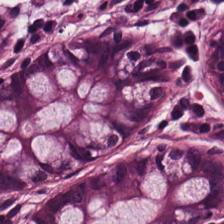FFPE tissue section. H&E stain. 0.5 µm per pixel. {"tissue_type": "normal colonic mucosa"}
